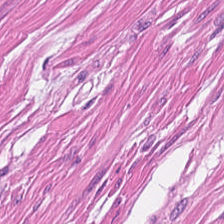Impression → smooth-muscle tissue.
